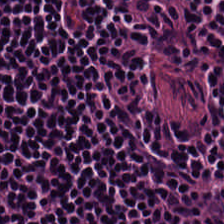H&E stain — Tissue — lymphocytic infiltrate.
